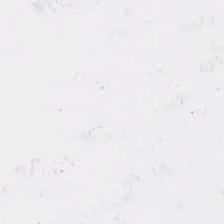H&E stain.
Impression — background.
